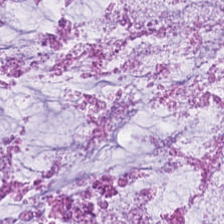Brightfield microscopy. Hematoxylin-and-eosin stained section. 224×224 px patch.
Q: Identify the tissue.
A: It is extracellular mucin.
